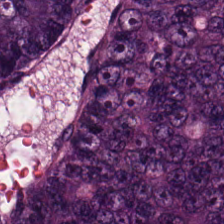H&E; FFPE tissue section.
Malignant epithelium.
